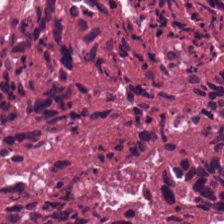This field is cellular debris.
